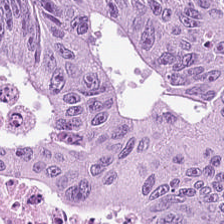Stain: H&E stain.
Acquisition: whole-slide-image patch.
Preparation: FFPE.
Tissue: colorectal adenocarcinoma.
